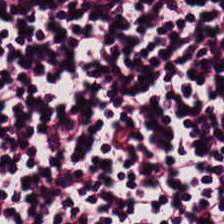224×224 pixel tile · hematoxylin and eosin.
{"tissue_type": "lymphocyte aggregate"}
